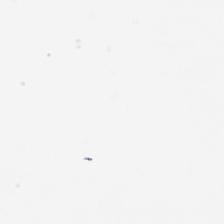Formalin-fixed paraffin-embedded section. Hematoxylin-and-eosin stained section. This field is background (no tissue).
